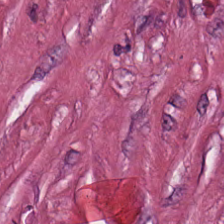Hematoxylin and eosin.
The tissue here is tumor-associated stroma.
